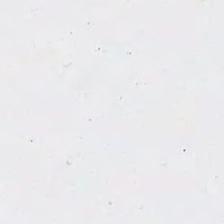Stain: hematoxylin and eosin.
Acquisition: WSI patch.
Field content: no tissue.
